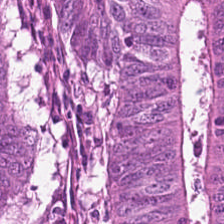H&E stain. {"tissue_type": "adenocarcinoma"}
